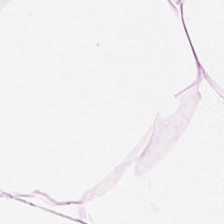{"tissue_type": "adipose"}
